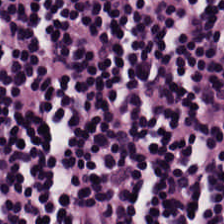Hematoxylin and eosin — Predominant tissue — lymphoid infiltrate.
